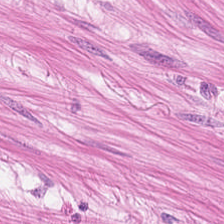H&E patch showing smooth muscle.
